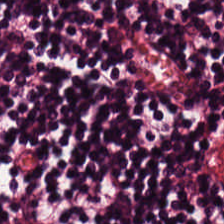Hematoxylin-and-eosin stained section.
Showing lymphoid infiltrate.
